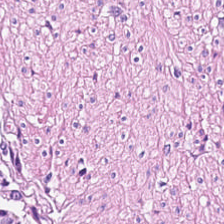Hematoxylin-and-eosin stained section · FFPE tissue section.
The classification is smooth muscle.
